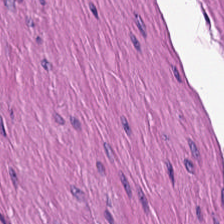Hematoxylin and eosin.
The tissue type is muscularis.
